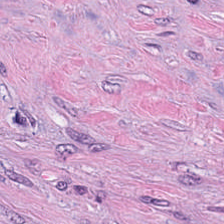Stain: H&E stain.
Tile size: 224×224 px patch.
Tissue type: tumor-associated stroma.
